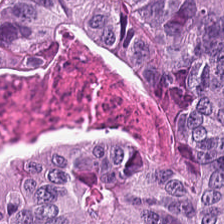{"tissue_type": "tumor epithelium"}
